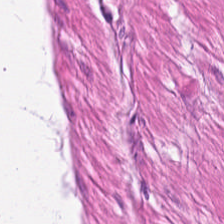H&E-stained tissue section; brightfield; 224×224 pixel tile — The predominant tissue is smooth muscle.
